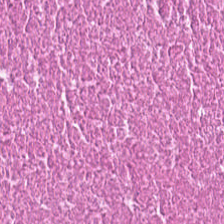224×224 pixel tile. H&E.
Classification — necrotic debris.
